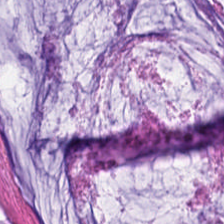FFPE tissue section · H&E stain · brightfield — Q: What type of tissue is this?
A: It is mucus.
